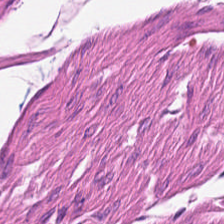Classification — smooth-muscle tissue.
